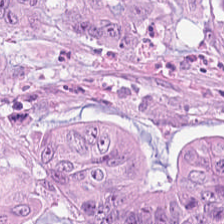H&E; brightfield microscopy.
Adenocarcinoma.
